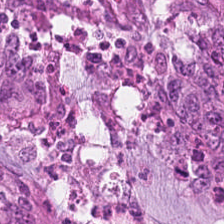H&E-stained tissue section. Histology — malignant epithelium.
